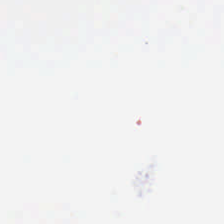H&E stain.
Q: What is shown in this field?
A: Background.
